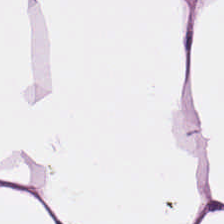Brightfield; 0.5 µm per pixel; H&E — Adipose tissue.
